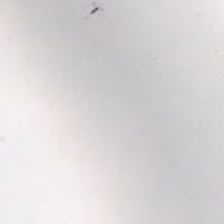Finding — background (no tissue).
